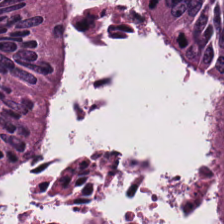Tissue type: colorectal adenocarcinoma.
